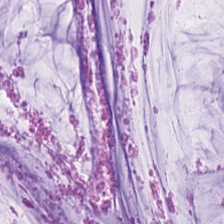Finding — mucus.
